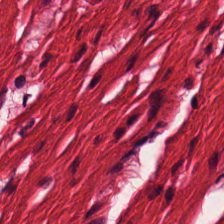This patch shows smooth muscle.
